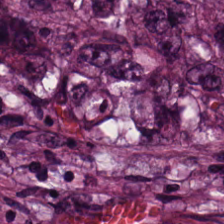H&E. Whole-slide-image patch.
Q: What tissue type is shown here?
A: It is colorectal adenocarcinoma epithelium.
